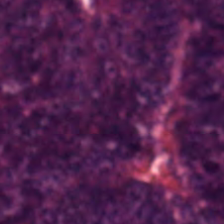Hematoxylin-and-eosin stained section. Q: What type of tissue is this?
A: It is malignant epithelium.
